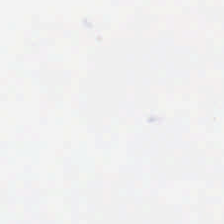H&E-stained tissue section; whole-slide-image patch. Field content: background.
